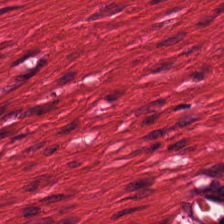Hematoxylin and eosin. Predominant tissue: smooth muscle.
